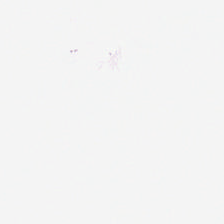Stain: hematoxylin-and-eosin stained section.
Acquisition: WSI patch.
Content: background.
